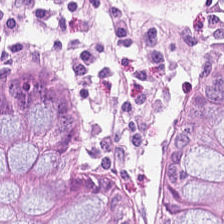{"tissue_type": "benign colonic mucosa"}
